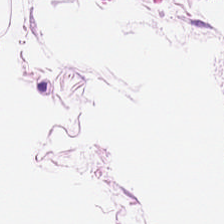Hematoxylin-and-eosin stained section.
Tissue class: fat tissue.
